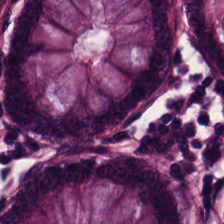H&E stain; brightfield; 0.5 µm/px — Showing benign colonic mucosa.
